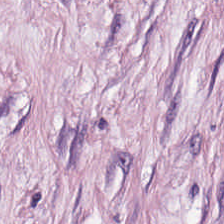Hematoxylin-and-eosin stained section. Tissue type — tumor-associated stroma.
